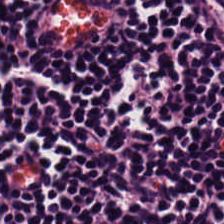This field is lymphocytes.
